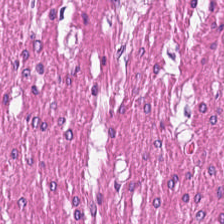224×224 pixel tile · hematoxylin and eosin. Histology → muscularis.
